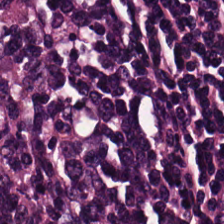H&E stain. This patch shows lymphocyte aggregate.
